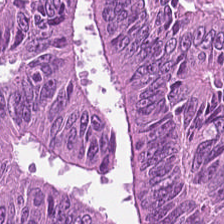Formalin-fixed paraffin-embedded section. H&E-stained tissue section.
Impression → adenocarcinoma.
